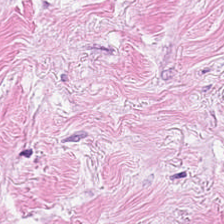Impression — desmoplastic stroma.
